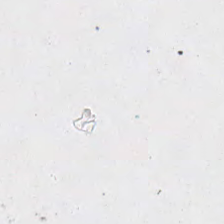H&E-stained tissue section · 224×224 px patch. This field is background (no tissue).
